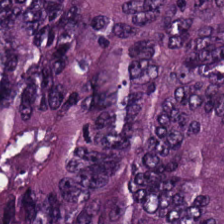Stain: H&E stain.
Tile size: 224×224 px patch.
Tissue: malignant epithelium.
